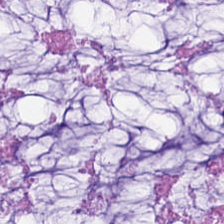Stain: H&E stain.
Predominant tissue: mucin.
